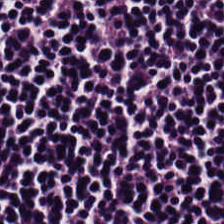H&E stain; FFPE tissue section.
Predominant tissue = lymphocyte aggregate.
